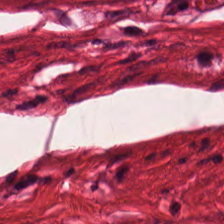H&E — muscularis.
